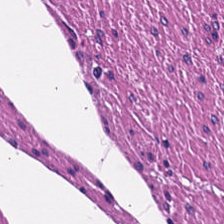H&E.
The tissue type is muscularis.
